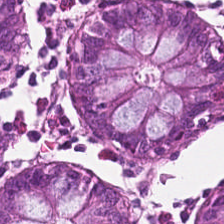H&E-stained tissue section · WSI patch · 20× equivalent magnification.
Predominantly normal colonic mucosa.
